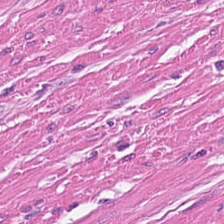Hematoxylin and eosin. The classification is smooth-muscle tissue.
